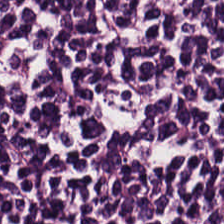H&E stain — Predominant tissue = lymphocytic infiltrate.
